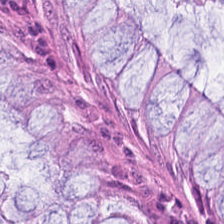Hematoxylin and eosin. The predominant tissue is normal colonic mucosa.
